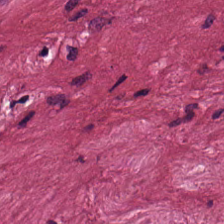WSI patch · H&E stain — Tumor stroma.
